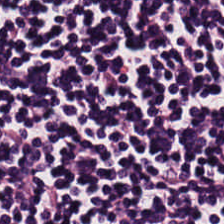H&E-stained tissue section · FFPE tissue section. Tissue type = lymphoid infiltrate.
